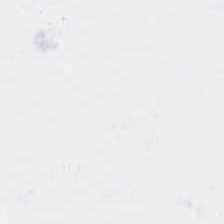Stain: H&E-stained tissue section.
Resolution: 0.5 µm per pixel.
Content: no tissue.
